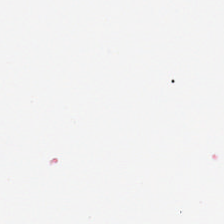Q: What is shown here?
A: It is no tissue.
